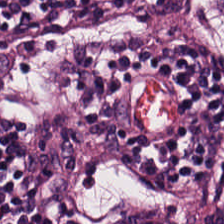Predominant tissue = lymphocytes.
